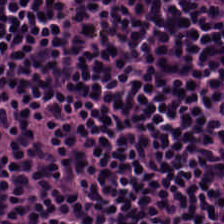WSI patch · H&E-stained tissue section — Q: What tissue is shown?
A: It is lymphocyte aggregate.
